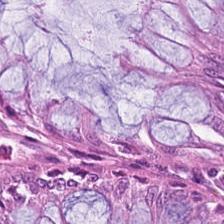H&E · 20× equivalent magnification — {"tissue_type": "normal colonic mucosa"}
